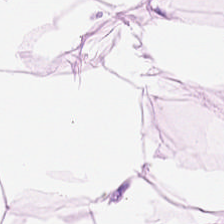Q: What tissue type is shown here?
A: This is fat tissue.
